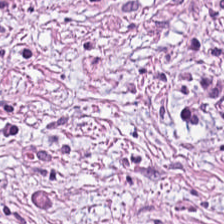Stain: H&E stain.
Tile size: 224×224 pixel tile.
Tissue class: cancer-associated stroma.
